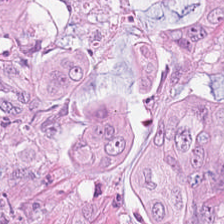The tissue here is colorectal adenocarcinoma epithelium.
